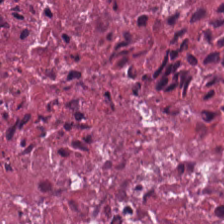Whole-slide-image patch · hematoxylin-and-eosin stained section · 224×224 px patch — The tissue here is debris.
